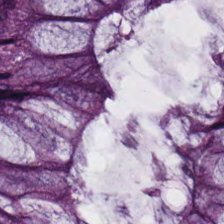Tissue = benign colonic mucosa.
